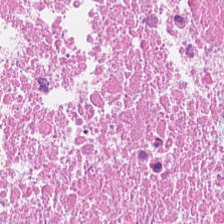Tissue type — debris.
